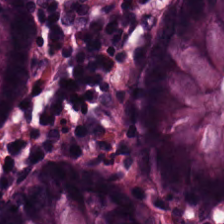Classification — normal colon mucosa.
